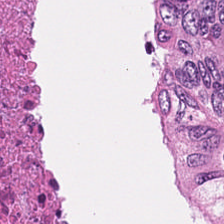{"tissue_type": "debris"}
